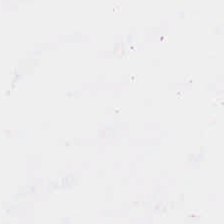H&E. 224×224 px patch. Field content = background.
